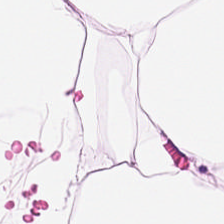H&E — The predominant tissue is adipose.
